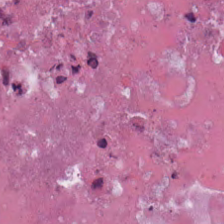Formalin-fixed paraffin-embedded section. H&E-stained tissue section. Brightfield microscopy. Classification = cellular debris.
